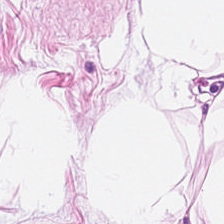H&E stain. Tissue type = fat tissue.
